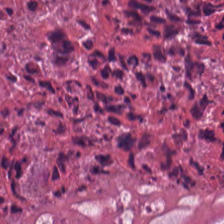{"tissue_type": "cellular debris"}
